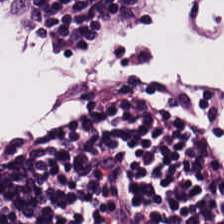20× equivalent magnification. H&E-stained tissue section. Brightfield.
Tissue type = lymphocytes.
